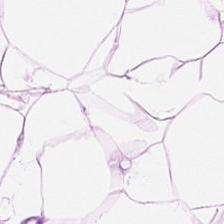Stain: hematoxylin and eosin.
Tissue class: adipocytes.
